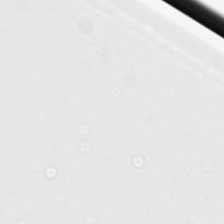Hematoxylin-and-eosin stained section; whole-slide-image patch — This patch shows background.
